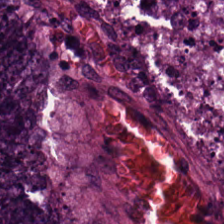Stain: H&E stain.
Classification: tumor epithelium.
